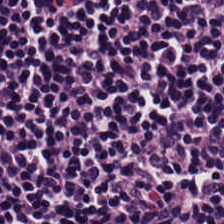H&E. Formalin-fixed paraffin-embedded section — Q: What tissue type is shown here?
A: It is lymphocyte aggregate.
